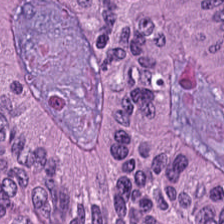Tissue = adenocarcinoma.
